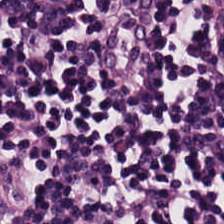H&E stain. Predominantly lymphocyte aggregate.
